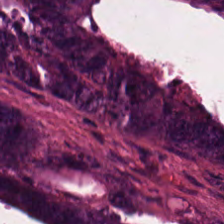Stain: H&E.
Resolution: 20× equivalent magnification.
Tissue class: colorectal adenocarcinoma.
